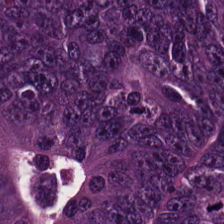Hematoxylin and eosin · formalin-fixed paraffin-embedded section · brightfield — Q: What tissue type is shown here?
A: This is colorectal adenocarcinoma.
